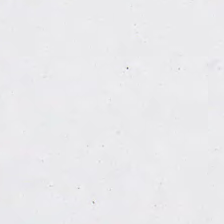Stain: hematoxylin and eosin.
Classification: no tissue.
